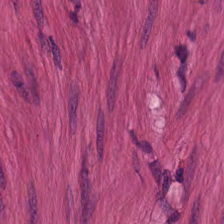Stain: H&E stain.
Acquisition: brightfield.
Tile size: 224×224 pixel tile.
Predominant tissue: muscularis.
